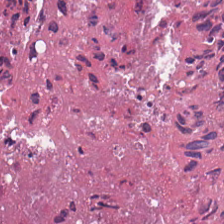H&E stain. Q: What does this patch show?
A: It is necrotic debris.
